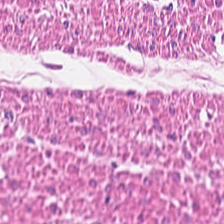Hematoxylin and eosin.
Impression — muscularis.
